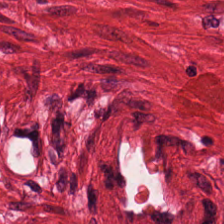Formalin-fixed paraffin-embedded section; hematoxylin and eosin; 0.5 µm per pixel. This patch shows smooth muscle.
